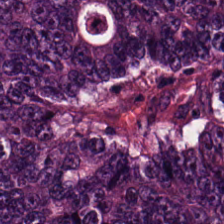Hematoxylin-and-eosin stained section. 224×224 px tile. Classification: colorectal adenocarcinoma.
